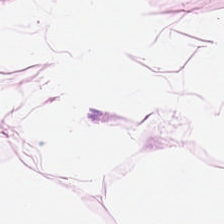0.5 µm per pixel. H&E — Predominantly adipose.
